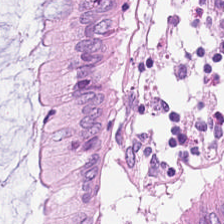H&E-stained tissue section. Tissue type — normal colonic mucosa.
